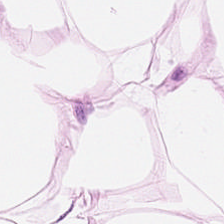Stain: H&E stain.
Tissue type: fat tissue.
